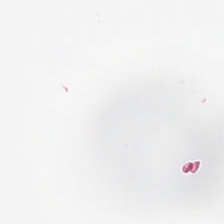H&E stain. Q: What is shown here?
A: This is no tissue.
